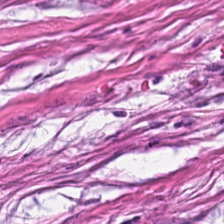The tissue here is desmoplastic stroma.
